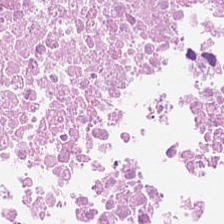The tissue here is cellular debris.
